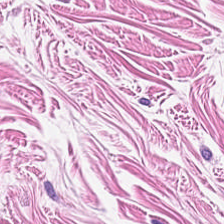Histology → smooth muscle.
